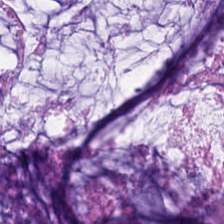H&E stain; 0.5 µm/px — The predominant tissue is mucus.
